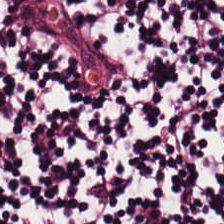224×224 px tile. H&E-stained tissue section — Showing lymphocytes.
